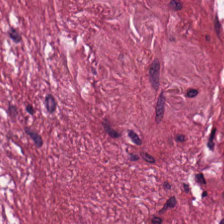Finding — desmoplastic stroma.
